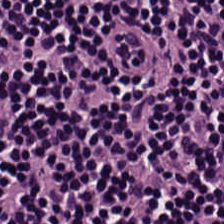0.5 µm per pixel. Hematoxylin-and-eosin stained section — The tissue here is lymphocytes.
